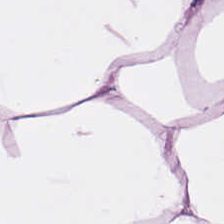H&E-stained tissue section — Adipose tissue.
